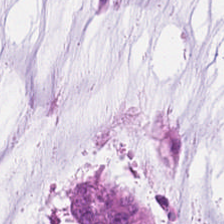FFPE · 224×224 px tile · hematoxylin-and-eosin stained section.
Showing mucin.
